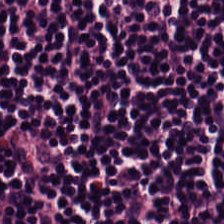H&E stain.
Finding → lymphocytes.
